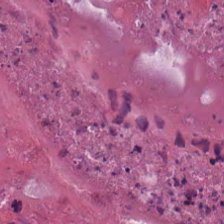0.5 microns per pixel · hematoxylin and eosin.
Tissue: debris.
